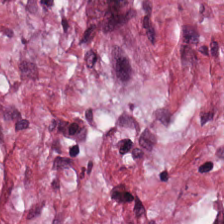FFPE tissue section. H&E. Tissue type — tumor stroma.
